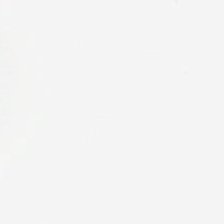Hematoxylin and eosin.
This field is background (no tissue).
